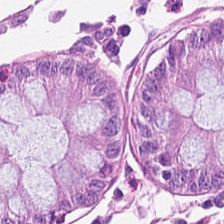Tissue class — normal colon mucosa.
